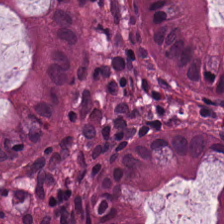H&E-stained tissue section. Whole-slide-image patch. 224×224 px tile — This field is benign colonic mucosa.
